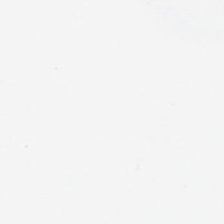0.5 µm per pixel · hematoxylin and eosin.
Classification — background (no tissue).
